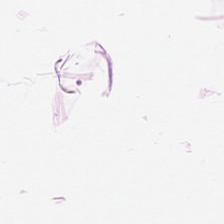Brightfield · H&E stain · 224×224 px tile — Tissue = adipose tissue.
